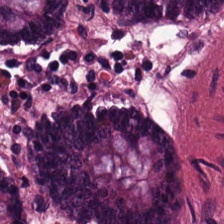Hematoxylin-and-eosin stained section. Tissue — non-neoplastic colon mucosa.
